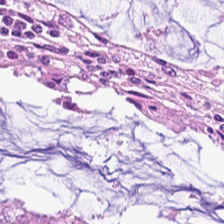224×224 pixel tile · H&E stain — This field is normal colon mucosa.
